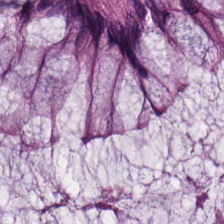The predominant tissue is non-neoplastic colon mucosa.
